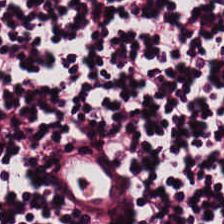H&E stain; whole-slide-image patch; 0.5 µm per pixel.
Histology → lymphocytes.
